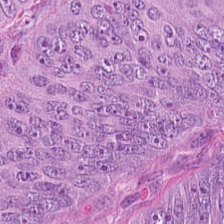H&E stain — Predominantly malignant epithelium.
